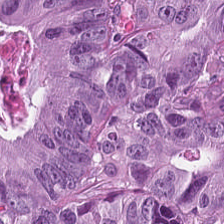Hematoxylin-and-eosin stained section — Q: Classify this patch.
A: This is colorectal adenocarcinoma epithelium.
